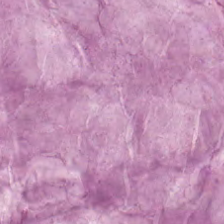H&E — The predominant tissue is mucin.
